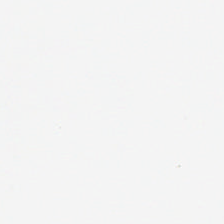20× equivalent magnification; hematoxylin and eosin. Classification = no tissue.
